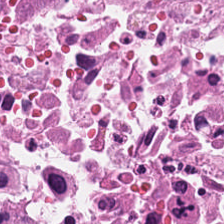224×224 pixel tile · hematoxylin-and-eosin stained section · 0.5 µm per pixel. Predominantly necrotic debris.
